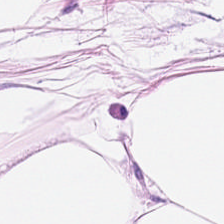H&E-stained tissue section. This patch shows adipose tissue.
